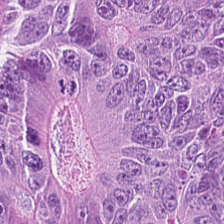H&E-stained tissue section showing colorectal adenocarcinoma.
